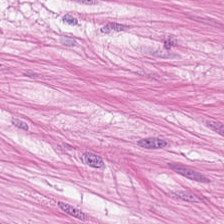H&E-stained tissue section. Predominantly muscularis.
